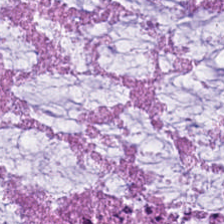Hematoxylin-and-eosin section: extracellular mucin.
